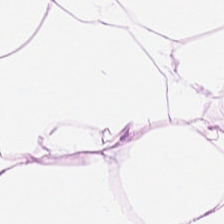Adipose tissue.
